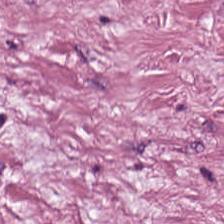H&E-stained tissue section · FFPE.
Q: What does this patch show?
A: The field shows cancer-associated stroma.
